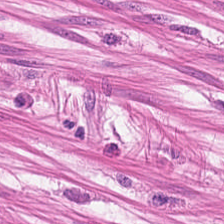Stain: H&E.
Resolution: 0.5 µm per pixel.
Predominant tissue: smooth-muscle tissue.
